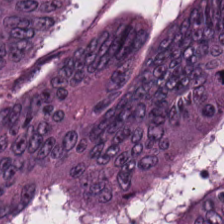The tissue here is colorectal adenocarcinoma.
